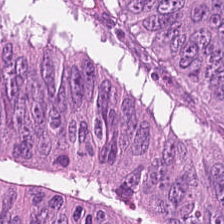H&E stain. Finding → colorectal adenocarcinoma.
